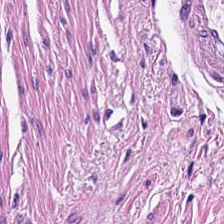H&E stain. FFPE tissue section.
{"tissue_type": "smooth-muscle tissue"}
